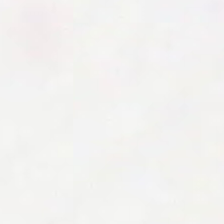No tissue.
